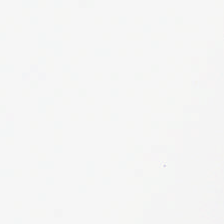224×224 px patch; H&E.
This patch shows background.
